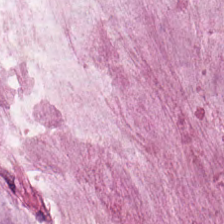Formalin-fixed paraffin-embedded section. H&E-stained tissue section. 224×224 pixel tile.
The tissue here is mucin.
